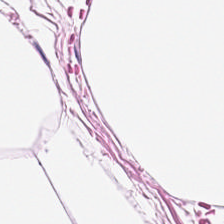H&E — Tissue — adipose.
